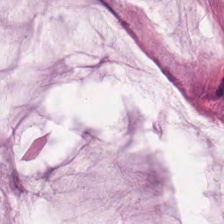Whole-slide-image patch; FFPE; hematoxylin-and-eosin stained section — Q: What is shown in this field?
A: This is mucus.
